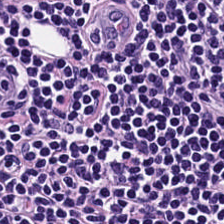Q: What is the predominant tissue type?
A: It is lymphocytes.
